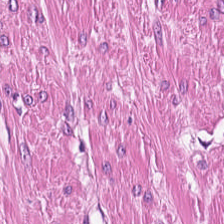20× equivalent magnification. Hematoxylin and eosin. Showing smooth-muscle tissue.
